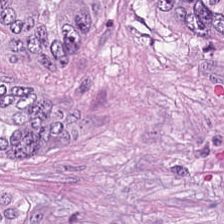Classification: tumor epithelium.
